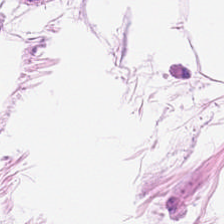H&E-stained tissue section — Q: What is shown in this field?
A: It is adipose tissue.
